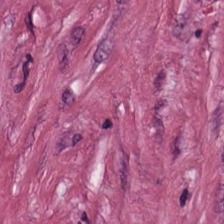224×224 pixel tile. H&E-stained tissue section. Brightfield microscopy. Predominant tissue — tumor-associated stroma.
